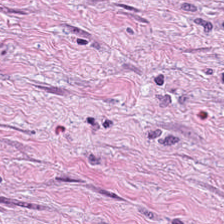H&E-stained tissue section · brightfield.
Tumor-associated stroma.
